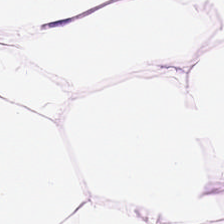Whole-slide-image patch · hematoxylin and eosin. {"tissue_type": "adipose"}
